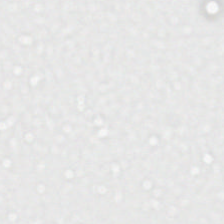0.5 microns per pixel. Hematoxylin and eosin.
This field is background (no tissue).
